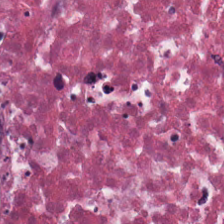Formalin-fixed paraffin-embedded section; 0.5 µm per pixel; H&E stain. Tissue type = necrotic debris.
